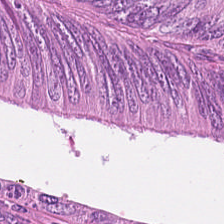H&E stain. 0.5 µm per pixel. 224×224 px patch. The tissue here is adenocarcinoma.
